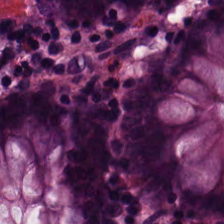FFPE tissue section; 20× equivalent magnification; hematoxylin and eosin. This patch shows benign colonic mucosa.
